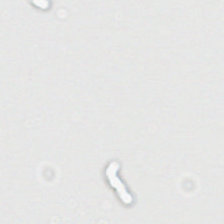Hematoxylin-and-eosin stained section.
Q: What is shown here?
A: It is no tissue.
